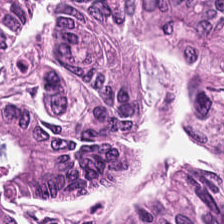H&E stain — Showing adenocarcinoma.
